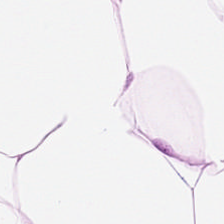H&E stain — Fat tissue.
